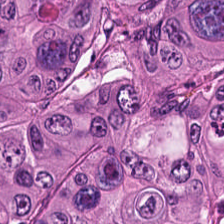H&E-stained tissue section; 224×224 px tile.
The tissue here is adenocarcinoma.
